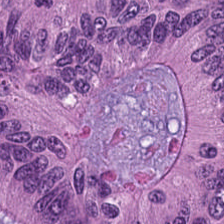Stain: hematoxylin-and-eosin stained section.
Preparation: FFPE.
Classification: colorectal adenocarcinoma.
